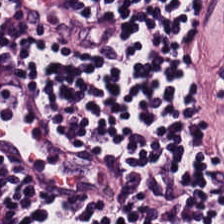Stain: H&E stain.
Resolution: 0.5 µm/px.
Preparation: formalin-fixed paraffin-embedded section.
Tissue class: lymphocyte aggregate.
